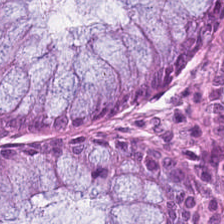H&E stain — Classification — benign colonic mucosa.
